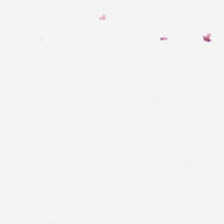H&E; FFPE tissue section; 224×224 pixel tile. This field is background (no tissue).
